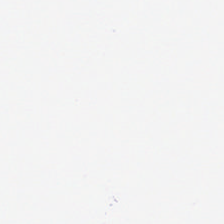Finding — background.
